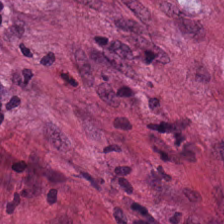H&E.
Q: What tissue type is shown here?
A: It is tumor-associated stroma.
